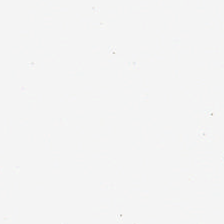Classification — empty background.
